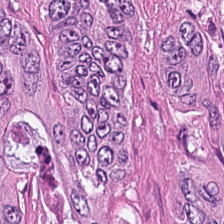H&E patch showing malignant epithelium.
